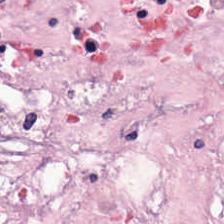H&E patch showing cancer-associated stroma.
